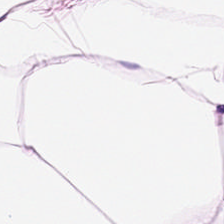H&E stain — The tissue here is adipose.
